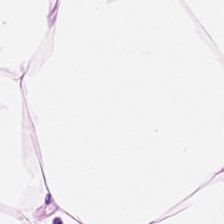Whole-slide-image patch. H&E stain. Formalin-fixed paraffin-embedded section. Q: What is shown in this field?
A: Adipocytes.
